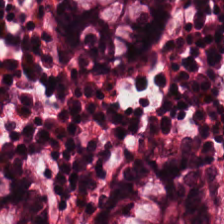H&E-stained tissue section — Predominant tissue: benign colonic mucosa.
